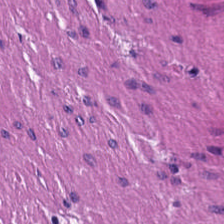Brightfield · H&E stain · FFPE tissue section. Q: Identify the tissue.
A: It is smooth muscle.
